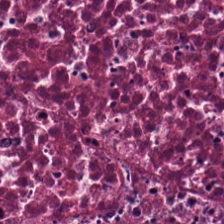FFPE tissue section · H&E stain — Tissue type: necrotic debris.
